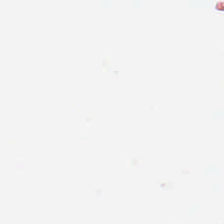Hematoxylin-and-eosin stained section.
Background — no tissue in this field.
